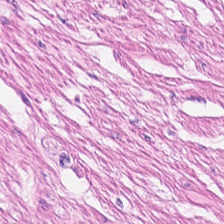Tissue = smooth-muscle tissue.
